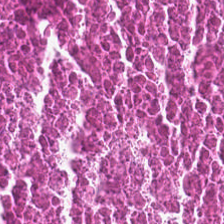Hematoxylin-and-eosin stained section — This field is debris.
